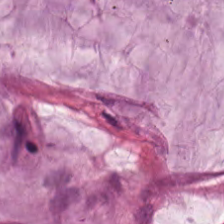Stain: H&E stain.
Classification: extracellular mucin.
